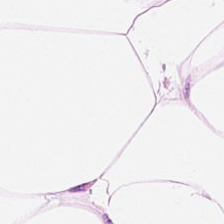Showing adipose.
